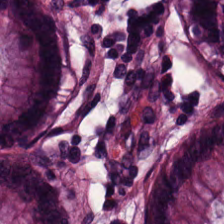Stain: H&E-stained tissue section.
Acquisition: brightfield microscopy.
Predominant tissue: benign colonic mucosa.
